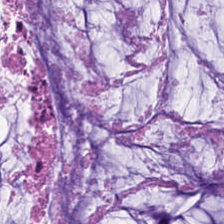Hematoxylin and eosin. 224×224 px patch. Brightfield. Histology → extracellular mucin.
